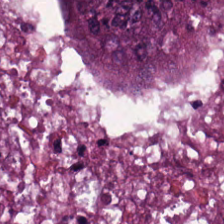Stain: hematoxylin and eosin.
Tile size: 224×224 pixel tile.
Classification: malignant epithelium.
